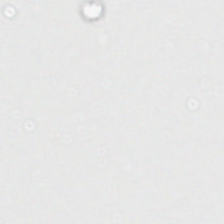H&E stain — Empty background.
